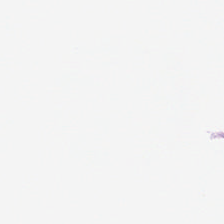H&E.
Background — no tissue in this field.
